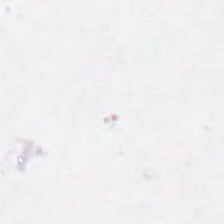H&E stain.
Q: Classify this patch.
A: The field shows background.
